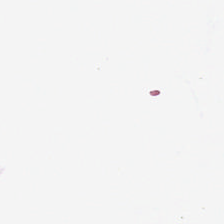H&E-stained tissue section. Classification — no tissue.
